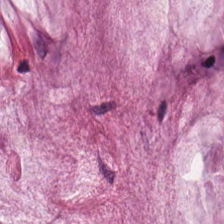Hematoxylin-and-eosin stained section — The classification is mucin.
